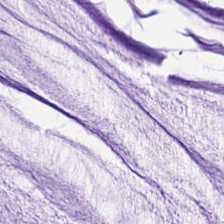224×224 px tile. Hematoxylin-and-eosin stained section — Impression → mucin.
